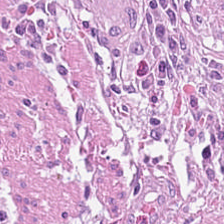Finding → tumor stroma.
